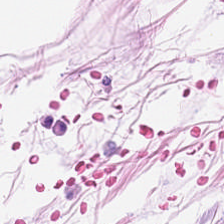Tissue = fat tissue.
